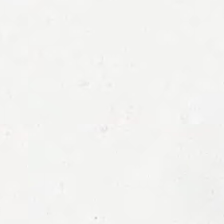Stain: H&E.
Field content: no tissue.
